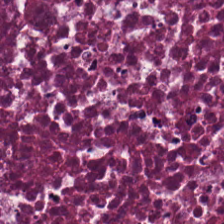Hematoxylin-and-eosin stained section; WSI patch. Necrotic debris.
